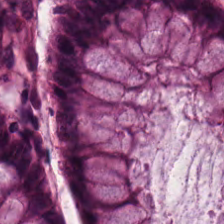Q: What does this patch show?
A: Normal colonic mucosa.
